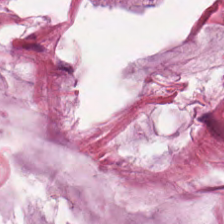Stain: hematoxylin-and-eosin stained section.
Tile size: 224×224 pixel tile.
Classification: mucus.
